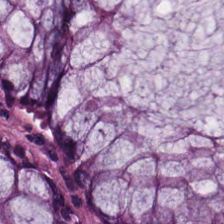H&E — Normal colonic mucosa.
